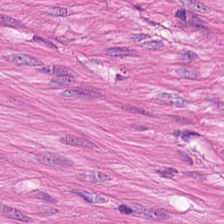Stain: H&E.
Tile size: 224×224 px patch.
Tissue: muscularis.
